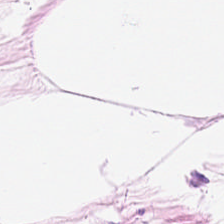H&E-stained tissue section — Tissue type = adipocytes.
